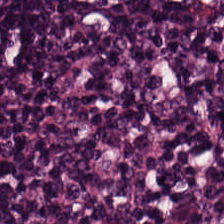H&E stain — Tissue = lymphocytes.
